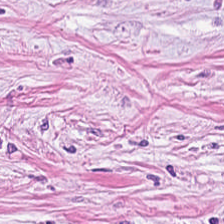Stain: hematoxylin-and-eosin stained section.
Preparation: FFPE.
Predominant tissue: tumor-associated stroma.
